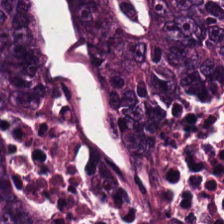Hematoxylin-and-eosin stained section — Colorectal adenocarcinoma.
